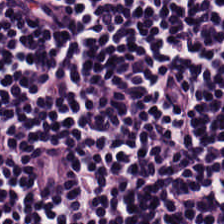Formalin-fixed paraffin-embedded section. H&E — Classification = lymphocytic infiltrate.
